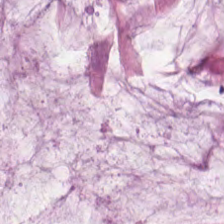Hematoxylin and eosin — The predominant tissue is mucin.
